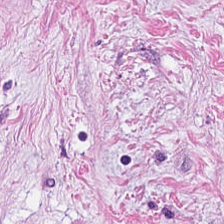Hematoxylin and eosin · 224×224 px patch — Tissue class = desmoplastic stroma.
